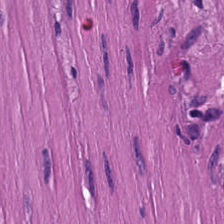FFPE tissue section · whole-slide-image patch · hematoxylin-and-eosin stained section. Classification = smooth-muscle tissue.
